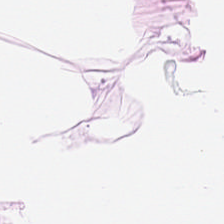H&E-stained tissue section — This field is fat tissue.
